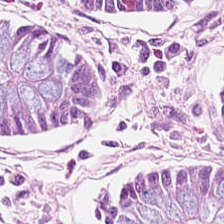WSI patch. FFPE. Hematoxylin and eosin. Q: What is the predominant tissue type?
A: The field shows normal colon mucosa.
